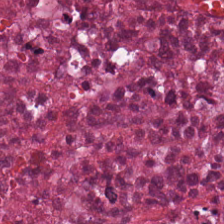H&E — necrotic debris.
